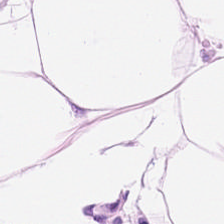Hematoxylin-and-eosin stained section — Tissue — adipose.
